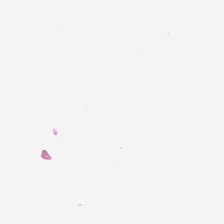H&E-stained tissue section — This field is background (no tissue).
